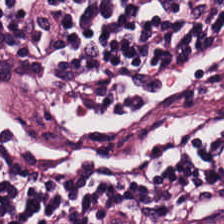{"tissue_type": "lymphocytes"}
